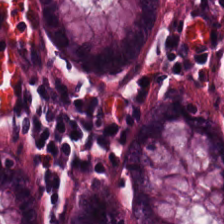Stain: H&E-stained tissue section.
Tissue class: normal colonic mucosa.
